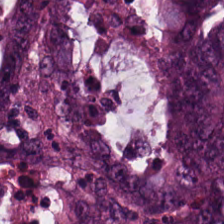Hematoxylin-and-eosin stained section · brightfield microscopy. Showing colorectal adenocarcinoma.
